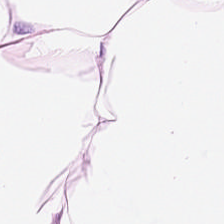H&E-stained tissue section.
Adipose.
